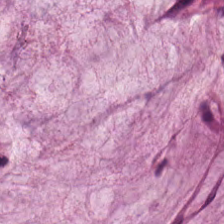Hematoxylin and eosin — Showing extracellular mucin.
